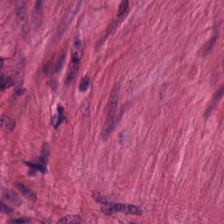224×224 px tile. H&E-stained tissue section.
{"tissue_type": "smooth-muscle tissue"}
